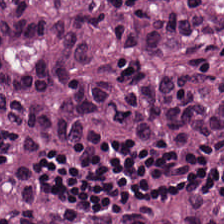H&E-stained tissue section.
Tissue type — colorectal adenocarcinoma epithelium.
